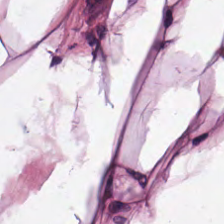Stain: H&E stain.
Tissue class: adipose.
